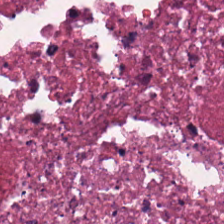H&E stain.
Predominantly cellular debris.
